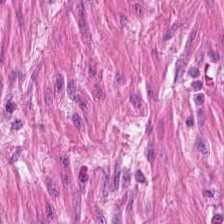0.5 µm/px. 224×224 px tile. H&E — Q: What does this patch show?
A: Smooth muscle.
